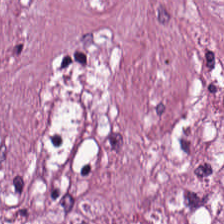The predominant tissue is tumor-associated stroma.
